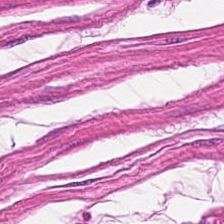H&E stain. FFPE tissue section — Finding → muscularis.
